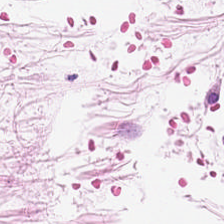0.5 microns per pixel · H&E-stained tissue section — Q: What is shown in this field?
A: This is adipose.
